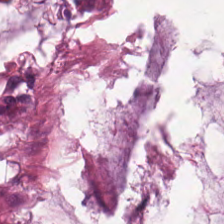WSI patch · H&E stain — Showing mucus.
